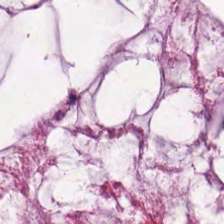H&E-stained tissue section.
Predominantly extracellular mucin.
